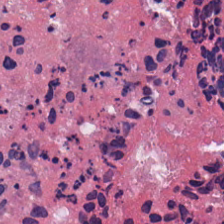The tissue here is debris.
